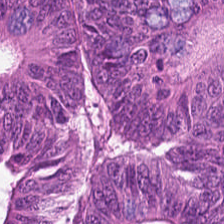0.5 µm/px · hematoxylin-and-eosin stained section. The predominant tissue is malignant epithelium.
